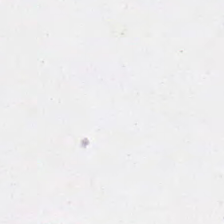H&E-stained tissue section — The field content is empty background.
